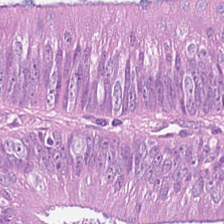Showing adenocarcinoma.
